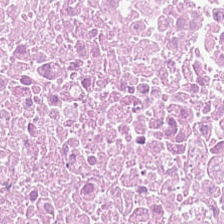FFPE tissue section · 20× equivalent magnification · H&E.
This patch shows necrotic debris.
